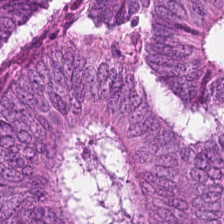H&E — This patch shows colorectal adenocarcinoma.
